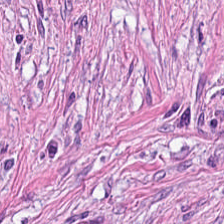Hematoxylin and eosin · formalin-fixed paraffin-embedded section. Histology — desmoplastic stroma.
